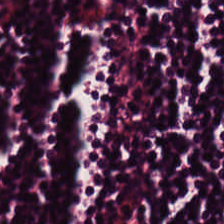The predominant tissue is lymphocytes.
